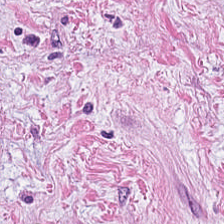Histology → desmoplastic stroma.
